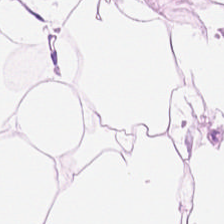H&E stain.
Q: What does this patch show?
A: The field shows adipose.
